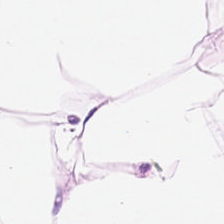H&E-stained tissue section.
Tissue: adipose.
